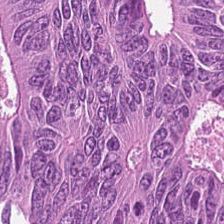This patch shows colorectal adenocarcinoma epithelium.
